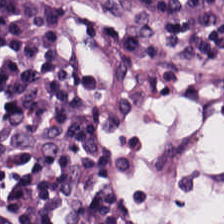Predominantly lymphocytes.
